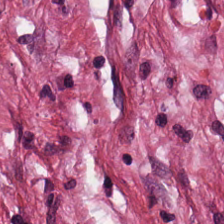H&E stain.
This patch shows desmoplastic stroma.
